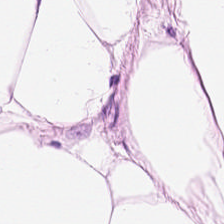FFPE. 224×224 px patch. Hematoxylin and eosin.
{"tissue_type": "adipocytes"}
